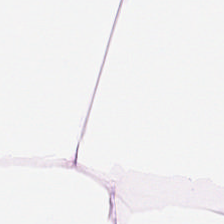Whole-slide-image patch; hematoxylin-and-eosin stained section. Q: What is shown here?
A: It is fat tissue.
